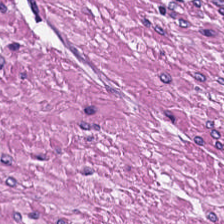Classification = smooth-muscle tissue.
